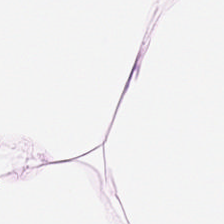H&E-stained tissue section — {"tissue_type": "adipose tissue"}
